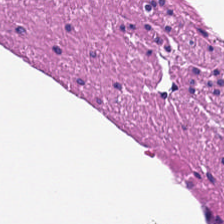224×224 px patch. Hematoxylin-and-eosin stained section.
This patch shows muscularis.
